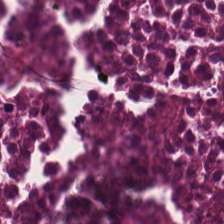Tissue — debris.
